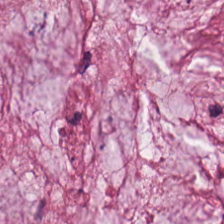H&E stain.
Predominantly mucus.
